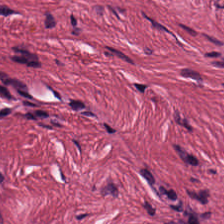Stain: hematoxylin and eosin.
Classification: desmoplastic stroma.
